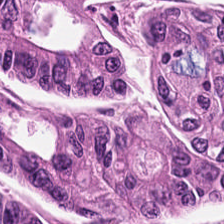H&E stain.
Showing adenocarcinoma.
